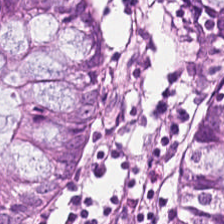224×224 pixel tile. Hematoxylin-and-eosin stained section — The predominant tissue is normal colonic mucosa.
